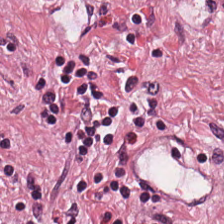Impression — cancer-associated stroma.
